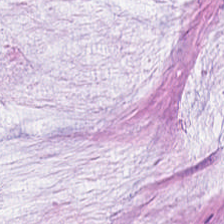H&E stain — Q: Classify this patch.
A: This is extracellular mucin.
